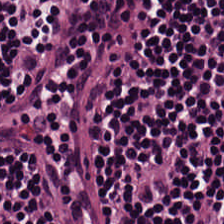H&E-stained tissue section.
Tissue type = lymphocyte aggregate.
